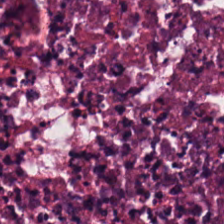Hematoxylin-and-eosin stained section. This field is debris.
